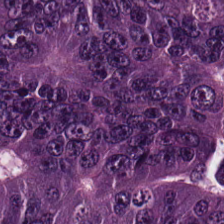The predominant tissue is adenocarcinoma.
